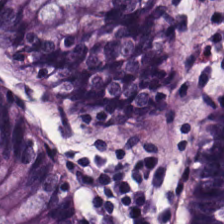Brightfield microscopy; hematoxylin-and-eosin stained section. Predominant tissue = benign colonic mucosa.
